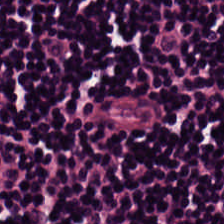224×224 px patch. Brightfield. Hematoxylin-and-eosin stained section.
Predominant tissue — lymphocyte aggregate.
